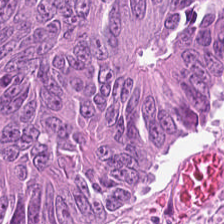H&E. FFPE tissue section.
The tissue is adenocarcinoma.
